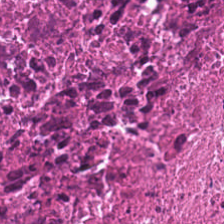H&E stain — Tissue class: necrotic debris.
